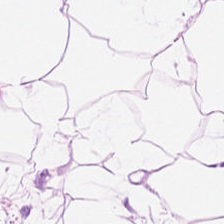FFPE tissue section; hematoxylin-and-eosin stained section.
Impression → adipose tissue.
